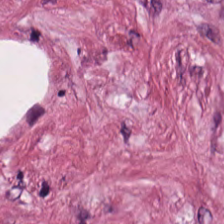Q: What is shown in this field?
A: This is cancer-associated stroma.
